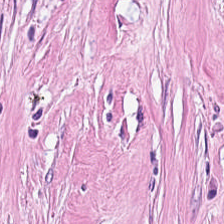Impression → tumor stroma.
